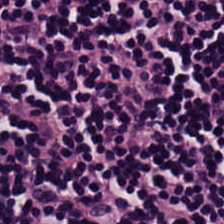Q: What tissue type is shown here?
A: This is lymphocyte aggregate.
